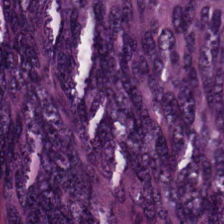Predominantly colorectal adenocarcinoma.
